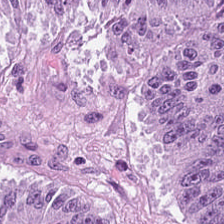Predominant tissue = colorectal adenocarcinoma epithelium.
